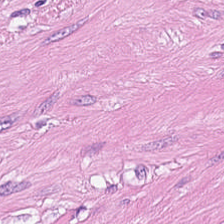H&E-stained tissue section.
Classification: smooth-muscle tissue.
